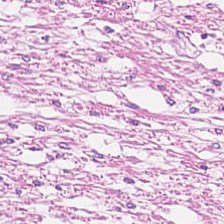Stain: H&E stain.
Tissue class: smooth-muscle tissue.
